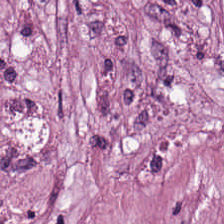This field is desmoplastic stroma.
